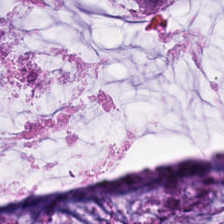Showing mucus.
